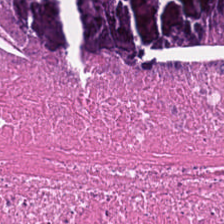This field is debris.
